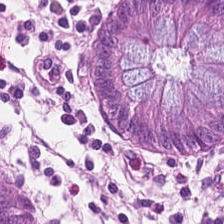H&E. Whole-slide-image patch. FFPE.
Tissue type: normal colonic mucosa.
